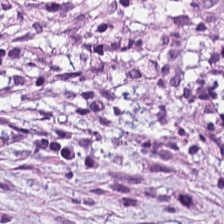Hematoxylin and eosin · 224×224 pixel tile.
This patch shows cancer-associated stroma.
